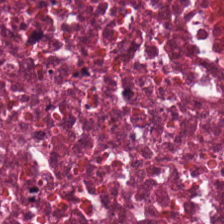H&E — This patch shows debris.
